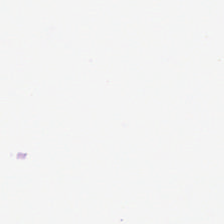Q: What is shown here?
A: This is empty background.
